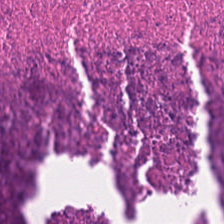FFPE tissue section. H&E stain — This patch shows cellular debris.
